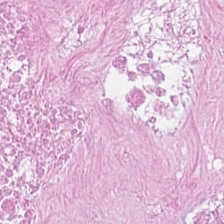Hematoxylin-and-eosin section: cellular debris.
